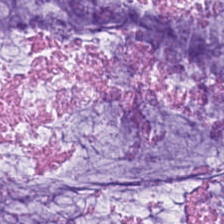The predominant tissue is mucin.
